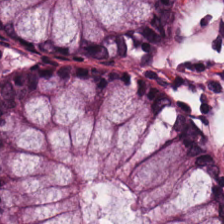Stain: H&E stain.
Preparation: FFPE tissue section.
Acquisition: WSI patch.
Predominant tissue: normal colon mucosa.
